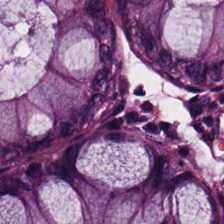H&E.
This patch shows normal colonic mucosa.
